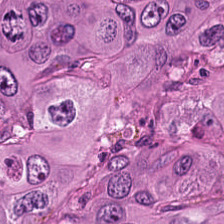224×224 px patch. H&E-stained tissue section. Tissue class: tumor epithelium.
